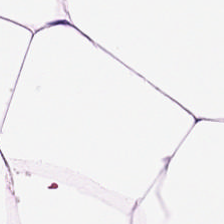H&E — adipose.
